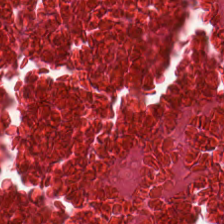This field is necrotic debris.
